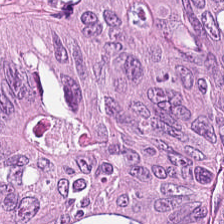Q: What tissue type is shown here?
A: It is colorectal adenocarcinoma.
